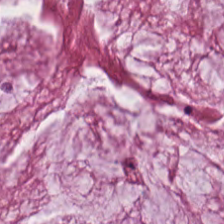H&E-stained tissue section — This patch shows mucus.
